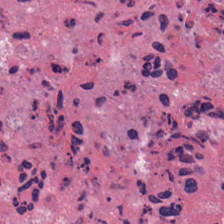Q: Identify the tissue.
A: Cellular debris.
